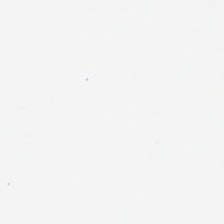Field content — empty background.
